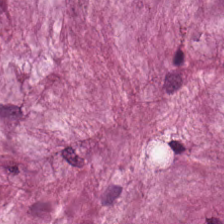Hematoxylin-and-eosin stained section. 0.5 microns per pixel. Showing extracellular mucin.
